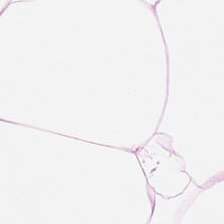0.5 µm/px · hematoxylin and eosin.
Predominantly adipose tissue.
